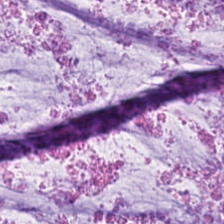224×224 px patch. Hematoxylin-and-eosin stained section. 0.5 µm per pixel. Impression — extracellular mucin.
